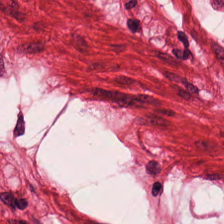H&E-stained tissue section. FFPE tissue section. 0.5 µm per pixel.
Impression → smooth-muscle tissue.
